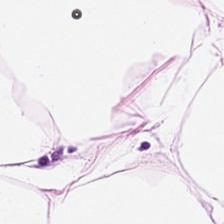Whole-slide-image patch. H&E. FFPE tissue section — Classification — fat tissue.
